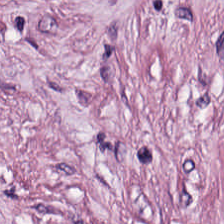H&E stain.
Showing desmoplastic stroma.
